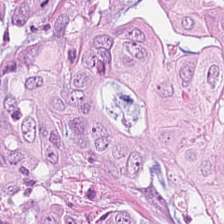H&E-stained tissue section — Showing colorectal adenocarcinoma epithelium.
